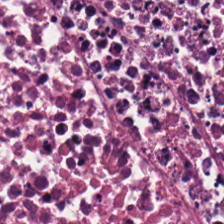Stain: hematoxylin-and-eosin stained section.
Resolution: 0.5 µm per pixel.
Tile size: 224×224 px patch.
Tissue: debris.
